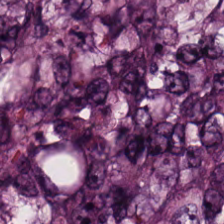0.5 microns per pixel. Formalin-fixed paraffin-embedded section. H&E — Impression → tumor epithelium.
